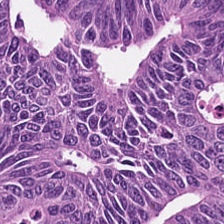H&E-stained tissue section. Adenocarcinoma.
